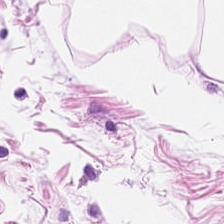H&E-stained section; the field shows fat tissue.
